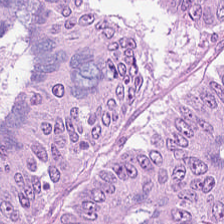Hematoxylin-and-eosin stained section · brightfield.
Q: What does this patch show?
A: It is colorectal adenocarcinoma.
